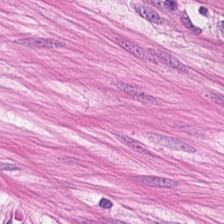H&E-stained tissue section.
{"tissue_type": "muscularis"}
